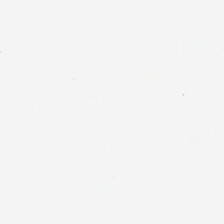FFPE · H&E-stained tissue section · 20× equivalent magnification.
Background.
